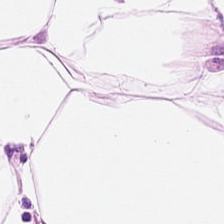Stain: hematoxylin and eosin.
Predominant tissue: adipose.
